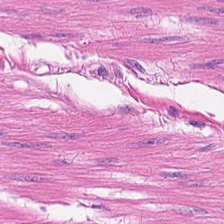Brightfield microscopy · hematoxylin-and-eosin stained section · FFPE tissue section.
Tissue class — smooth muscle.
